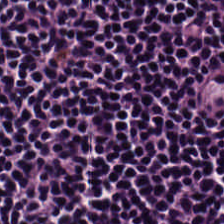Stain: hematoxylin and eosin.
Resolution: 0.5 µm/px.
Preparation: FFPE tissue section.
Tissue type: lymphocytes.
